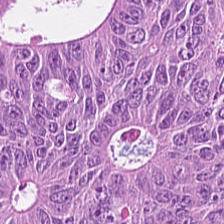Stain: H&E stain.
Tile size: 224×224 px tile.
Classification: tumor epithelium.
